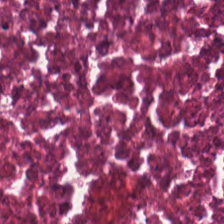Histology → debris.
